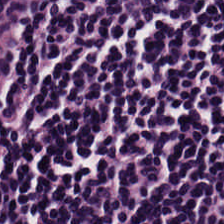Hematoxylin-and-eosin stained section.
Lymphocyte aggregate.
